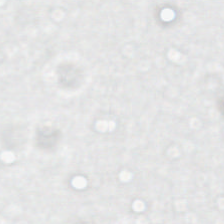H&E.
Background.
